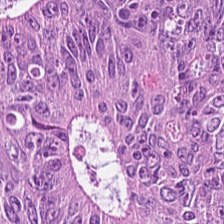Q: Classify this patch.
A: Malignant epithelium.
